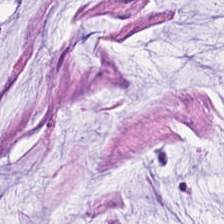Stain: H&E.
Preparation: FFPE.
Tissue type: mucin.
